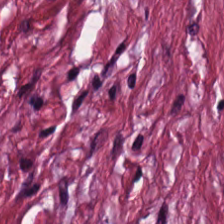H&E stain — This patch shows tumor stroma.
